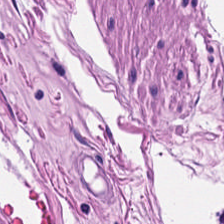H&E-stained section; the field shows smooth muscle.
